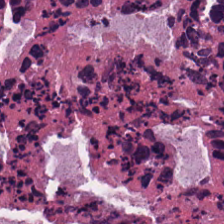H&E-stained tissue section.
Tissue type = cellular debris.
